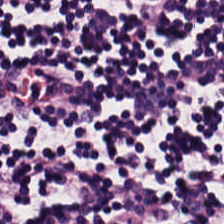Hematoxylin-and-eosin stained section. Lymphocytes.
